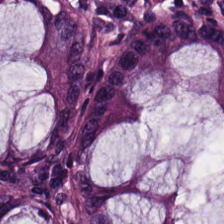H&E-stained tissue section. WSI patch. This patch shows normal colon mucosa.
